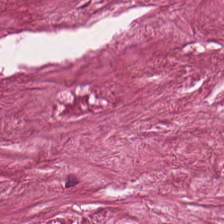Stain: H&E.
Classification: tumor stroma.
